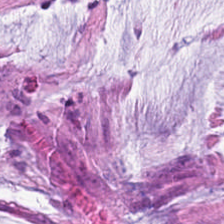H&E — The predominant tissue is mucin.
